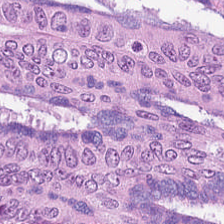H&E stain.
The tissue type is colorectal adenocarcinoma epithelium.
